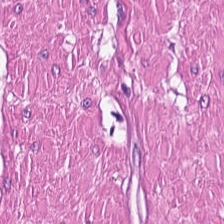FFPE tissue section · hematoxylin and eosin — Finding — smooth-muscle tissue.
